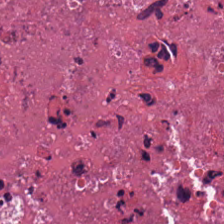H&E-stained tissue section; FFPE. The predominant tissue is debris.
